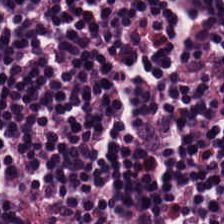Histology — lymphocyte aggregate.
